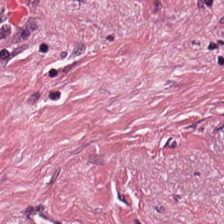FFPE tissue section. H&E stain — This patch shows tumor stroma.
